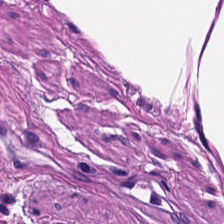The predominant tissue is smooth muscle.
